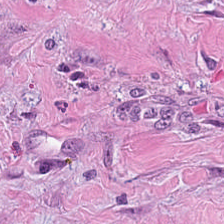Hematoxylin-and-eosin stained section · 224×224 pixel tile — This field is tumor stroma.
